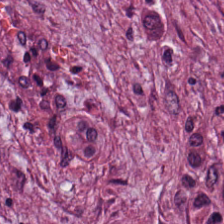This patch shows cancer-associated stroma.
